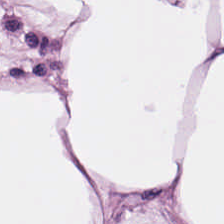Tissue type — adipose.
